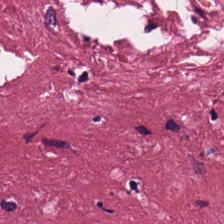FFPE; H&E. Classification = tumor stroma.
